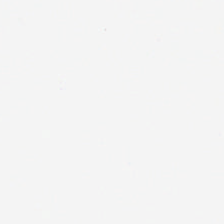Brightfield microscopy; 20× equivalent magnification; H&E. Q: What is shown in this field?
A: This is no tissue.
